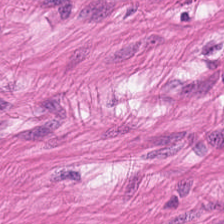Classification = smooth muscle.
